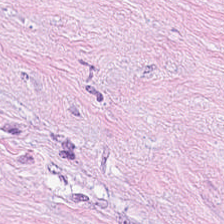Hematoxylin and eosin — Q: What is shown here?
A: The field shows tumor-associated stroma.
